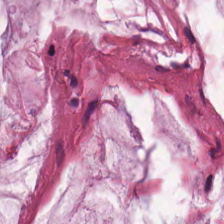H&E-stained tissue section. Q: Classify this patch.
A: Mucus.
